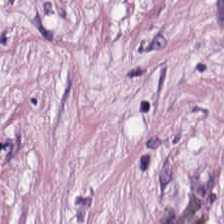H&E stain — Histology → tumor stroma.
